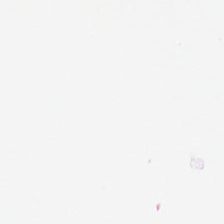H&E stain — Classification = background (no tissue).
